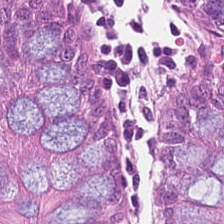Showing normal colon mucosa.
